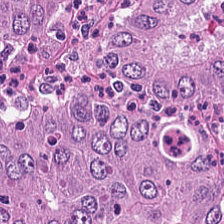H&E-stained tissue section · 20× equivalent magnification.
Q: What tissue is shown?
A: This is malignant epithelium.
